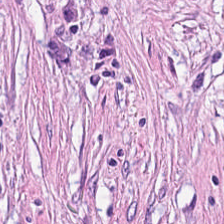WSI patch; hematoxylin and eosin. Showing tumor-associated stroma.
